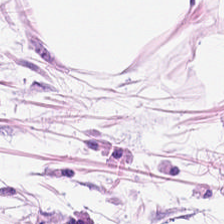Whole-slide-image patch. Hematoxylin-and-eosin stained section. 20× equivalent magnification. Predominantly adipocytes.
